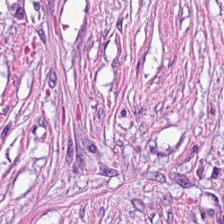Hematoxylin-and-eosin stained section.
This patch shows tumor stroma.
